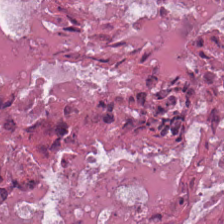Q: What is shown in this field?
A: It is cellular debris.
